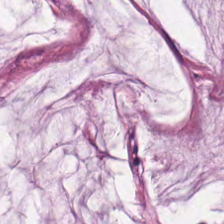FFPE; H&E.
Mucin.
